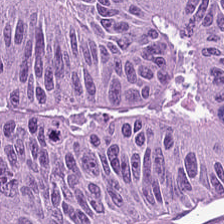H&E-stained tissue section. Q: What tissue is shown?
A: The field shows malignant epithelium.
